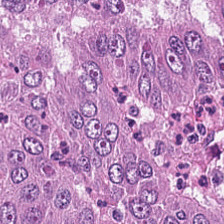Stain: H&E stain.
Resolution: 0.5 µm/px.
Tissue type: malignant epithelium.
